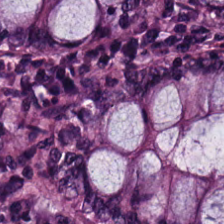Benign colonic mucosa.
